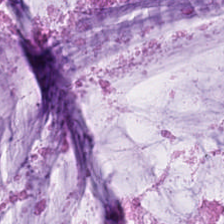20× equivalent magnification; H&E — This patch shows mucin.
